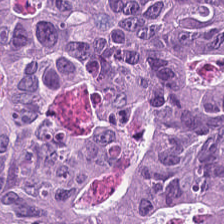The tissue type is colorectal adenocarcinoma.
